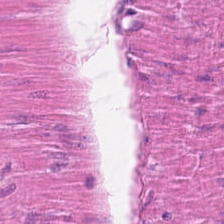224×224 pixel tile; hematoxylin and eosin — Muscularis.
